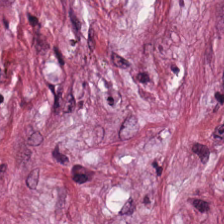H&E stain · 0.5 µm per pixel — The tissue here is tumor stroma.
